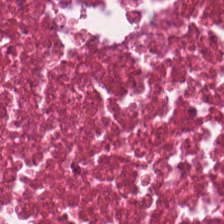0.5 microns per pixel. FFPE. H&E stain. Classification: cellular debris.
